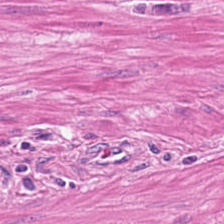224×224 px tile. H&E stain — Smooth-muscle tissue.
